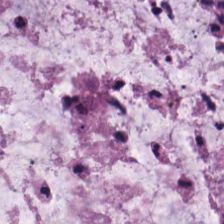H&E-stained tissue section.
Predominant tissue = extracellular mucin.
